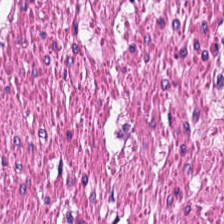224×224 px patch. Hematoxylin and eosin. Tissue: smooth muscle.
